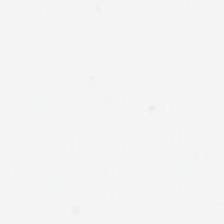H&E stain. {"content": "background (no tissue)"}
